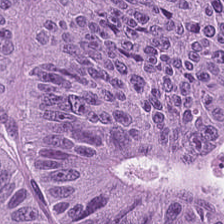Stain: hematoxylin-and-eosin stained section.
Classification: adenocarcinoma.
